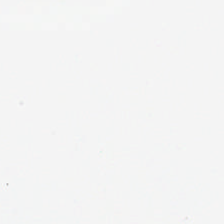224×224 pixel tile. Hematoxylin and eosin.
Background — no tissue in this field.
